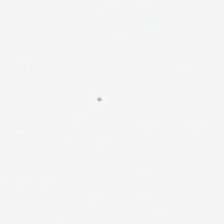{"content": "background (no tissue)"}
